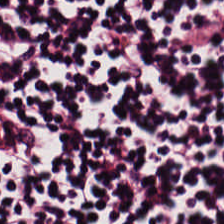H&E. The predominant tissue is lymphocytic infiltrate.
